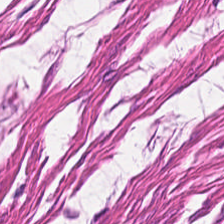Brightfield microscopy; H&E. {"tissue_type": "muscularis"}
